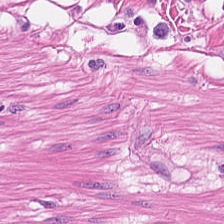Tissue class — smooth-muscle tissue.
